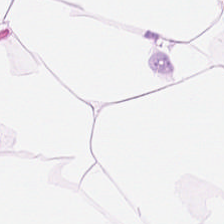224×224 px tile. H&E stain.
Q: What type of tissue is this?
A: The field shows adipocytes.
